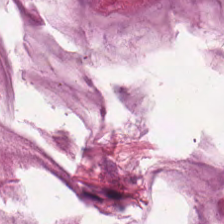H&E-stained tissue section. 0.5 µm/px — Q: What is shown here?
A: It is mucus.
